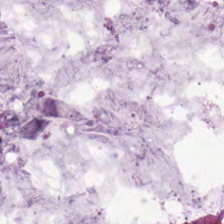0.5 microns per pixel; hematoxylin and eosin. Tissue class — mucin.
